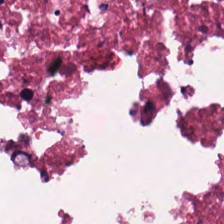FFPE tissue section; brightfield; hematoxylin and eosin.
This field is necrotic debris.
